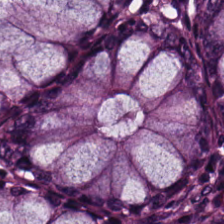H&E stain · whole-slide-image patch · 20× equivalent magnification.
This patch shows benign colonic mucosa.
